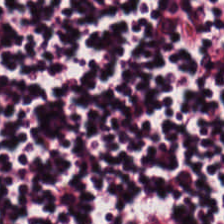H&E. Q: What type of tissue is this?
A: Lymphocytes.
